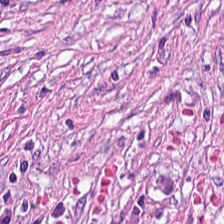Hematoxylin-and-eosin stained section — Predominantly tumor-associated stroma.
